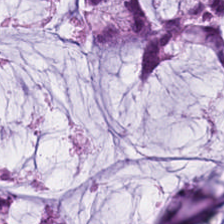H&E stain. Impression → mucin.
